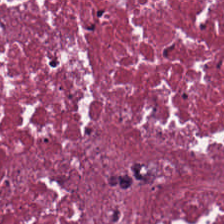The predominant tissue is debris.
